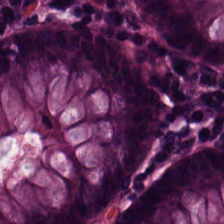H&E stain. Tissue class — normal colon mucosa.
